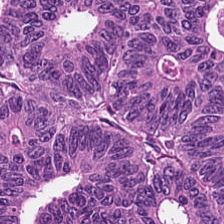0.5 µm per pixel. Hematoxylin-and-eosin stained section. 224×224 pixel tile.
Classification: malignant epithelium.
